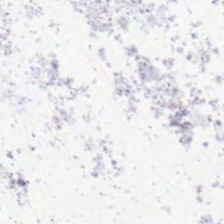224×224 px patch; H&E-stained tissue section.
Content: no tissue.
